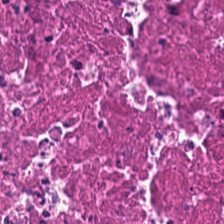224×224 px patch. Hematoxylin-and-eosin stained section. Brightfield. Tissue type: debris.
